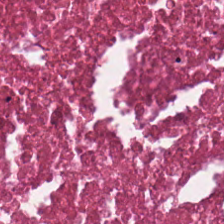Q: What tissue is shown?
A: It is debris.
